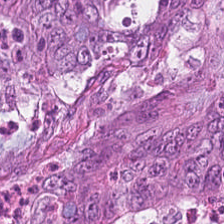H&E stain · 0.5 µm per pixel. Predominantly colorectal adenocarcinoma.
